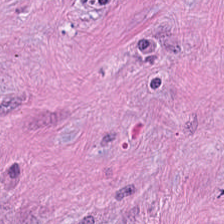Q: What tissue is shown?
A: Tumor-associated stroma.
